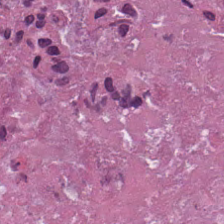H&E-stained section; the field shows cellular debris.
